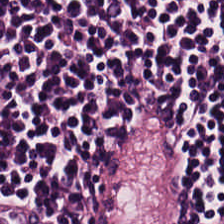Q: What type of tissue is this?
A: This is lymphocytes.
